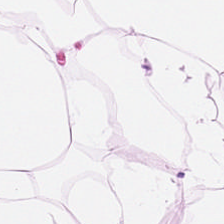H&E stain; WSI patch. Q: What is shown here?
A: Adipocytes.
